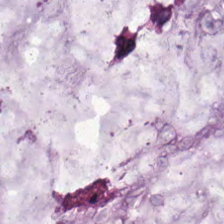Q: What is shown in this field?
A: Extracellular mucin.
